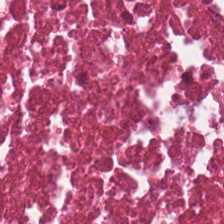H&E-stained tissue section · brightfield microscopy · 224×224 pixel tile.
This patch shows cellular debris.
